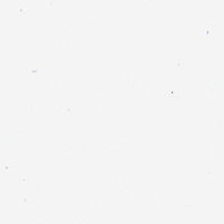Stain: hematoxylin and eosin.
Preparation: formalin-fixed paraffin-embedded section.
Classification: empty background.
